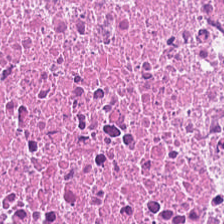H&E-stained tissue section. The predominant tissue is necrotic debris.
